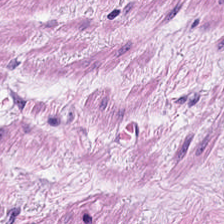Formalin-fixed paraffin-embedded section. H&E.
Tissue: smooth muscle.
